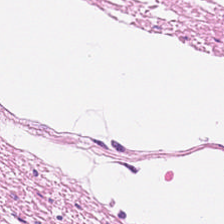Stain: H&E.
Tile size: 224×224 px tile.
Preparation: formalin-fixed paraffin-embedded section.
Classification: muscularis.
